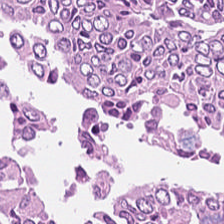Hematoxylin and eosin. Showing colorectal adenocarcinoma.
